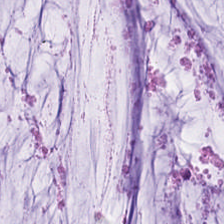H&E · brightfield. This field is mucin.
